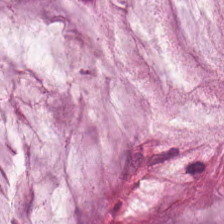Tissue = extracellular mucin.
